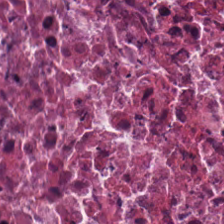H&E-stained tissue section.
Showing cellular debris.
